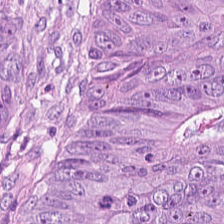Brightfield; H&E stain; 20× equivalent magnification. Tissue type: adenocarcinoma.
